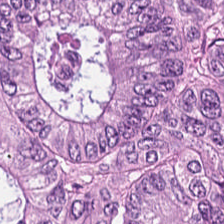H&E — Tissue = adenocarcinoma.
